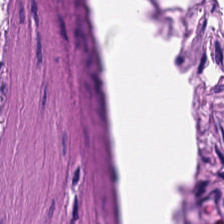224×224 px tile · hematoxylin-and-eosin stained section.
The tissue here is muscularis.
